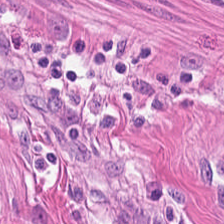H&E-stained tissue section · FFPE.
The tissue type is smooth muscle.
